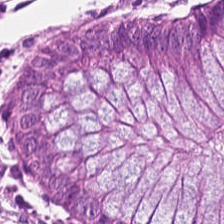Stain: H&E.
Resolution: 0.5 microns per pixel.
Preparation: FFPE.
Tissue class: normal colonic mucosa.
